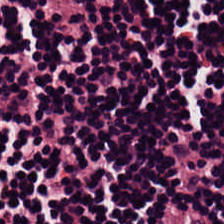Hematoxylin and eosin — Histology → lymphocyte aggregate.
